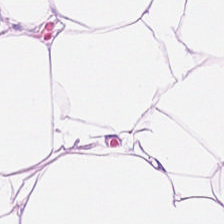H&E-stained tissue section. FFPE.
Predominant tissue — adipocytes.
